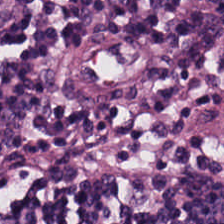20× equivalent magnification · hematoxylin-and-eosin stained section. {"tissue_type": "lymphoid infiltrate"}
